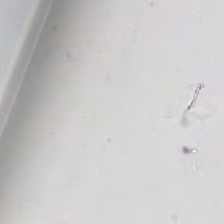H&E. Histology → background (no tissue).
